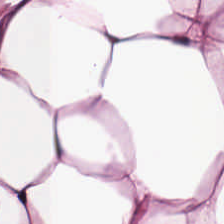Impression — adipocytes.
